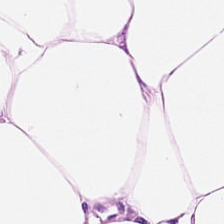Histology — adipose.
